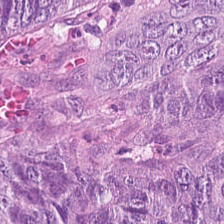Finding → colorectal adenocarcinoma epithelium.
